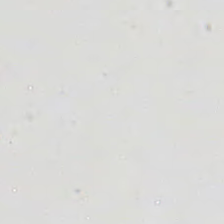Stain: H&E.
Preparation: FFPE.
Classification: no tissue.
